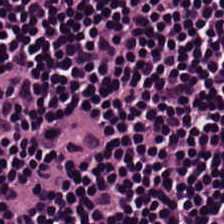Hematoxylin-and-eosin stained section. Q: Classify this patch.
A: Lymphocytic infiltrate.
